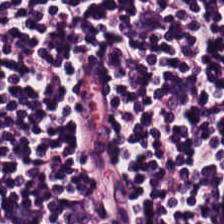H&E.
Q: Classify this patch.
A: It is lymphoid infiltrate.
